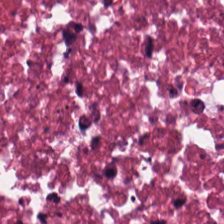Stain: H&E stain.
Acquisition: brightfield.
Tissue class: necrotic debris.
